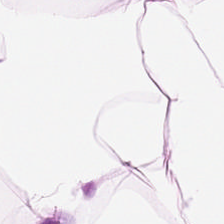Hematoxylin and eosin. Classification: adipose tissue.
